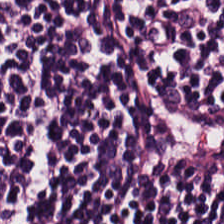The predominant tissue is lymphocytic infiltrate.
